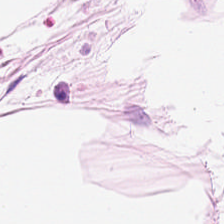Stain: H&E stain.
Tissue: adipose.
